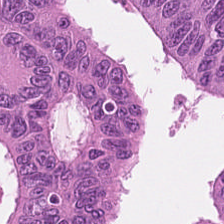Showing colorectal adenocarcinoma.
